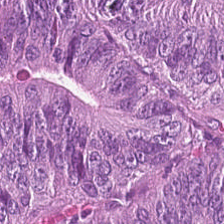Tissue class — malignant epithelium.
